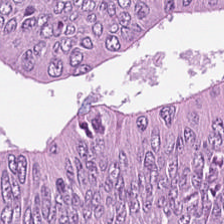FFPE · H&E stain. Q: What tissue type is shown here?
A: This is adenocarcinoma.
